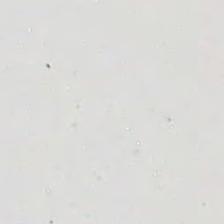H&E stain. Q: What does this patch show?
A: It is no tissue.
